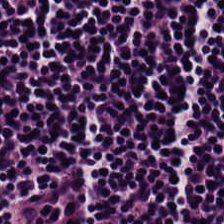This patch shows lymphocytes.
